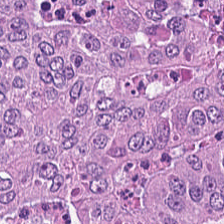H&E stain; 0.5 µm per pixel; 224×224 px tile — Predominant tissue = colorectal adenocarcinoma.
